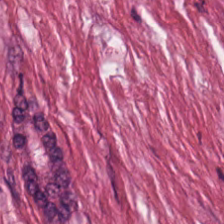Brightfield; H&E.
{"tissue_type": "cancer-associated stroma"}
